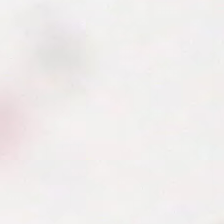The classification is empty background.
